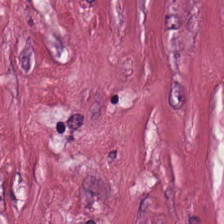H&E-stained tissue section. FFPE tissue section.
Showing tumor-associated stroma.
